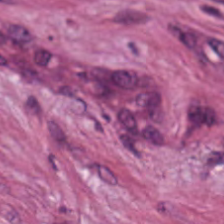Tissue class = cancer-associated stroma.
